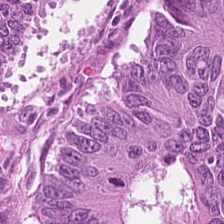Formalin-fixed paraffin-embedded section · H&E stain · 224×224 px tile — Q: What is the predominant tissue type?
A: It is colorectal adenocarcinoma.
